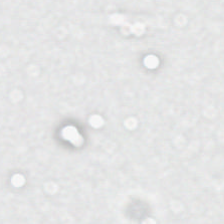224×224 px patch; H&E; 0.5 microns per pixel.
Background — no tissue in this field.
